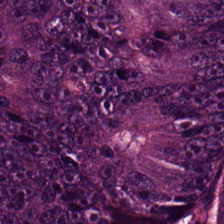{"tissue_type": "colorectal adenocarcinoma epithelium"}
